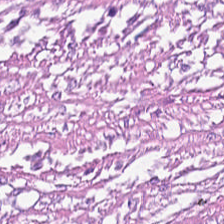FFPE tissue section. Brightfield. Hematoxylin-and-eosin stained section. The predominant tissue is tumor stroma.
